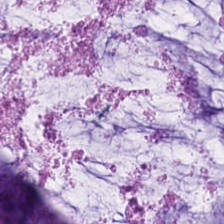Stain: H&E stain.
Preparation: FFPE tissue section.
Tissue: extracellular mucin.
